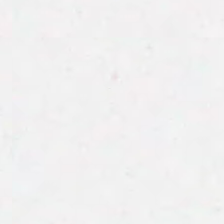FFPE tissue section; hematoxylin-and-eosin stained section; 224×224 pixel tile. This field is background (no tissue).
